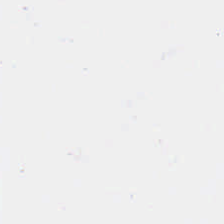Hematoxylin and eosin.
This field is background (no tissue).
